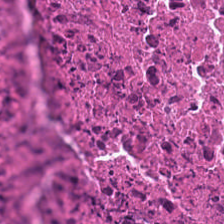Histology → debris.
